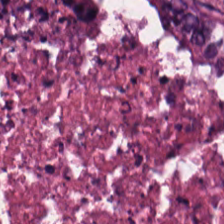Hematoxylin and eosin. FFPE.
Finding → cellular debris.
